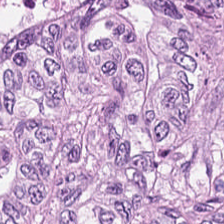H&E stain. Colorectal adenocarcinoma epithelium.
